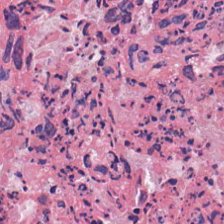Histology → necrotic debris.
